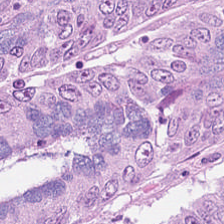H&E-stained tissue section · brightfield microscopy · 224×224 pixel tile. Histology — malignant epithelium.
